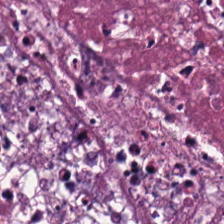The predominant tissue is debris.
